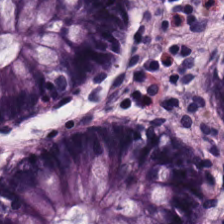Hematoxylin and eosin.
The predominant tissue is normal colon mucosa.
